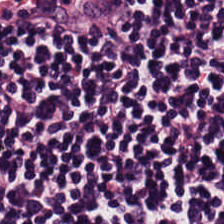Stain: H&E stain.
Classification: lymphocytes.
